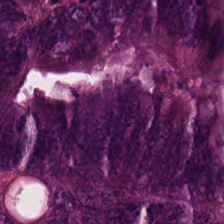H&E-stained tissue section. Showing colorectal adenocarcinoma epithelium.
